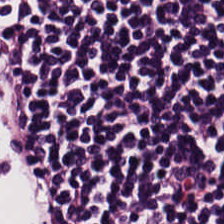H&E-stained tissue section — This field is lymphoid infiltrate.
